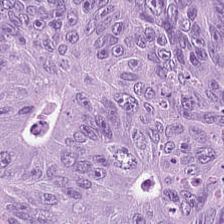Hematoxylin-and-eosin stained section. Tissue type — colorectal adenocarcinoma epithelium.
